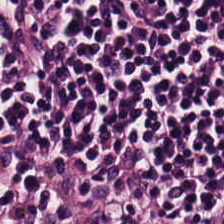H&E stain. {"tissue_type": "lymphoid infiltrate"}
